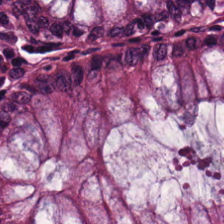Tissue type — non-neoplastic colon mucosa.
